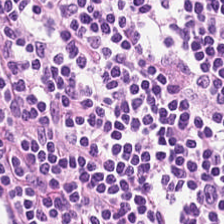Brightfield microscopy. H&E-stained tissue section. FFPE. {"tissue_type": "lymphoid infiltrate"}
